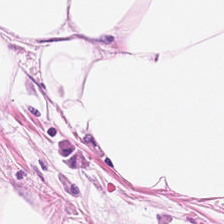20× equivalent magnification · H&E stain. Predominantly adipose.
